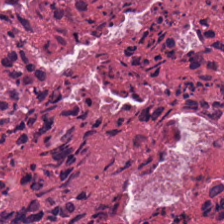H&E stain — Predominantly cellular debris.
